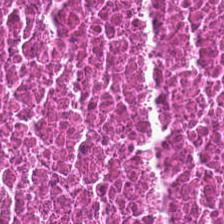Stain: H&E-stained tissue section.
Tissue class: cellular debris.
